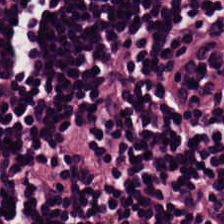H&E-stained tissue section · FFPE. Histology — lymphocytic infiltrate.
